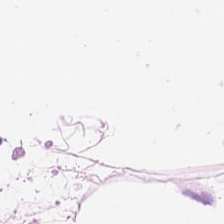Hematoxylin and eosin.
Q: Identify the tissue.
A: Fat tissue.
